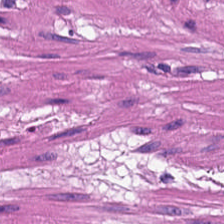H&E-stained tissue section. The predominant tissue is smooth-muscle tissue.
